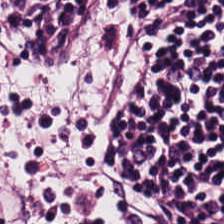H&E-stained tissue section. 224×224 px tile.
The tissue is lymphocytic infiltrate.
